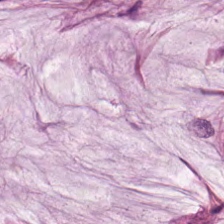20× equivalent magnification; H&E-stained tissue section; brightfield. The tissue class is mucin.
